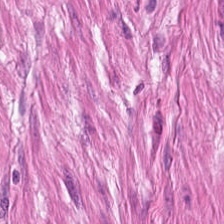Hematoxylin and eosin. Predominant tissue — smooth muscle.
